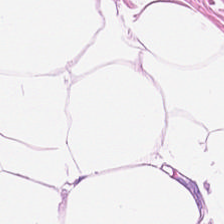Impression — adipocytes.
